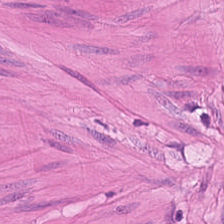H&E stain. 224×224 px tile. 0.5 µm/px — Q: What does this patch show?
A: Muscularis.
